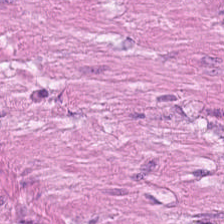Hematoxylin and eosin.
Tissue type = muscularis.
